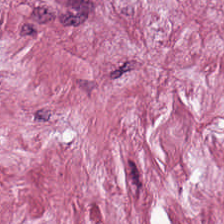Tissue type — tumor stroma.
